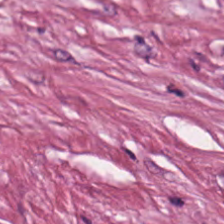H&E stain; brightfield microscopy; 0.5 µm/px.
Q: What is shown in this field?
A: Cancer-associated stroma.
